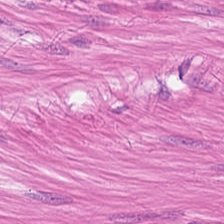H&E stain · FFPE tissue section — Histology → muscularis.
